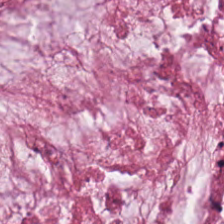H&E-stained tissue section; brightfield microscopy; 224×224 px patch — Predominantly mucin.
